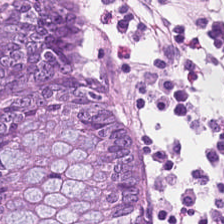This patch shows normal colon mucosa.
